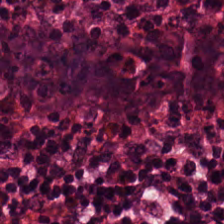H&E-stained tissue section.
Q: What is the predominant tissue type?
A: It is normal colonic mucosa.
